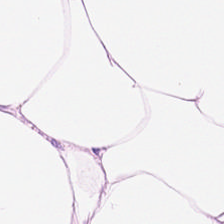Showing adipose tissue.
